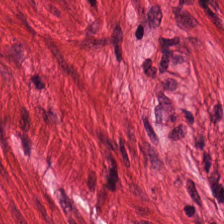H&E stain. The predominant tissue is muscularis.
